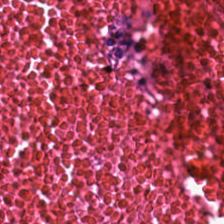Hematoxylin-and-eosin stained section. Showing necrotic debris.
